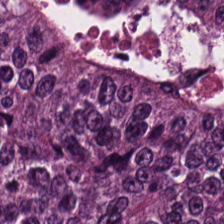This patch shows adenocarcinoma.
